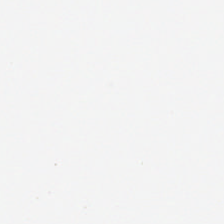224×224 px tile; brightfield; H&E stain. Q: What does this patch show?
A: It is background.
